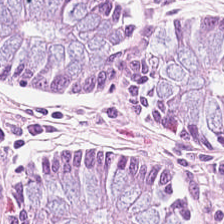0.5 µm per pixel. H&E stain. This patch shows benign colonic mucosa.
